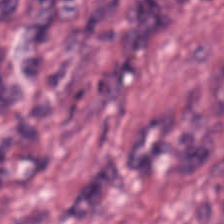Hematoxylin-and-eosin stained section. The predominant tissue is desmoplastic stroma.
